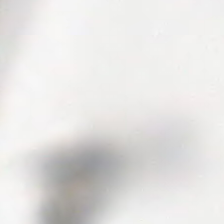WSI patch · hematoxylin and eosin — The content is background.
